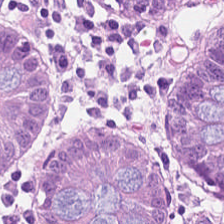FFPE tissue section; hematoxylin and eosin — Tissue type: normal colon mucosa.
